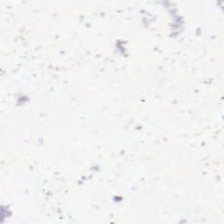Brightfield microscopy. H&E-stained tissue section.
Q: Classify this patch.
A: The field shows background (no tissue).
